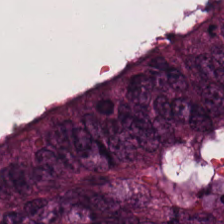FFPE; H&E.
Showing colorectal adenocarcinoma epithelium.
